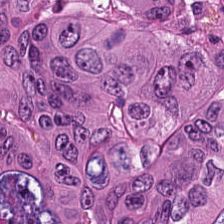Brightfield microscopy · 0.5 µm per pixel · H&E stain — Histology — tumor epithelium.
